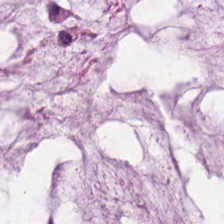H&E stain. 224×224 px tile.
Tissue type = extracellular mucin.
